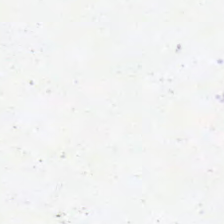H&E — This patch shows background.
